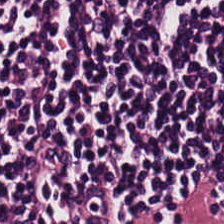Stain: hematoxylin-and-eosin stained section.
Acquisition: WSI patch.
Resolution: 0.5 µm/px.
Classification: lymphocytic infiltrate.
